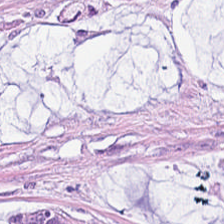H&E stain.
The tissue type is mucus.
